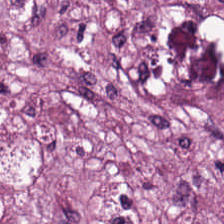Stain: hematoxylin and eosin.
Tissue type: desmoplastic stroma.
